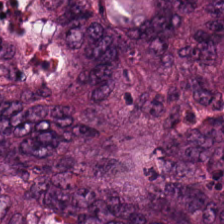Whole-slide-image patch. H&E.
The predominant tissue is adenocarcinoma.
